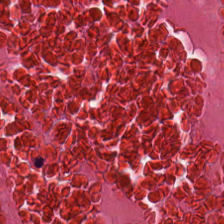Whole-slide-image patch · hematoxylin-and-eosin stained section — This patch shows cellular debris.
